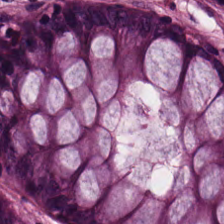Stain: hematoxylin and eosin.
Tissue: benign colonic mucosa.
